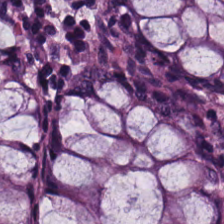H&E-stained tissue section. The tissue here is normal colon mucosa.
